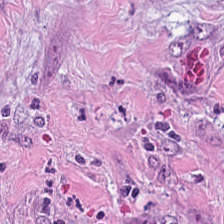H&E-stained tissue section showing tumor-associated stroma.
